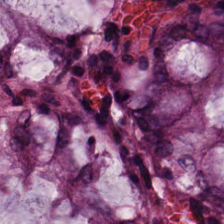Hematoxylin-and-eosin stained section; 224×224 px tile; 20× equivalent magnification. Predominant tissue: normal colonic mucosa.
